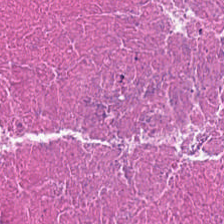0.5 µm/px; H&E. The tissue here is debris.
